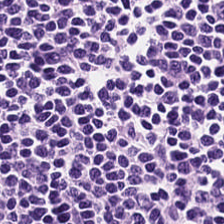H&E — lymphocyte aggregate.
